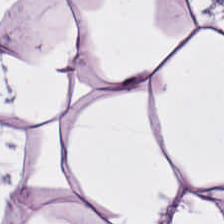{"tissue_type": "adipose"}
